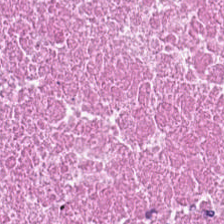Stain: H&E.
Acquisition: WSI patch.
Tile size: 224×224 px tile.
Predominant tissue: debris.
